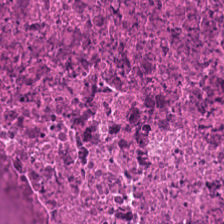Stain: H&E.
Tissue type: cellular debris.
